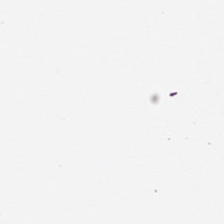Histology — no tissue.
